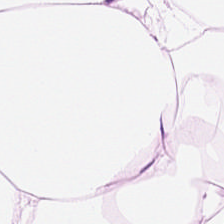Fat tissue.
